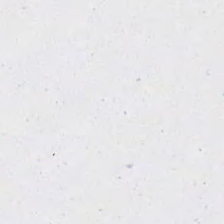This field is background (no tissue).
